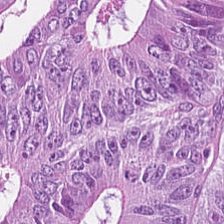Stain: H&E-stained tissue section.
Tissue type: colorectal adenocarcinoma epithelium.
